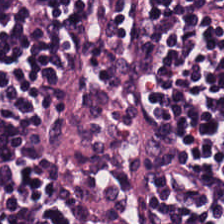0.5 microns per pixel. H&E stain — Q: What does this patch show?
A: This is lymphocytic infiltrate.
